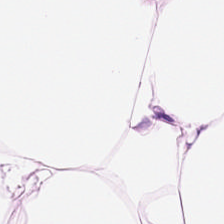WSI patch; H&E. Predominantly adipose.
